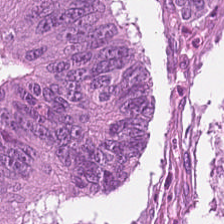Stain: hematoxylin-and-eosin stained section.
Tissue type: malignant epithelium.
